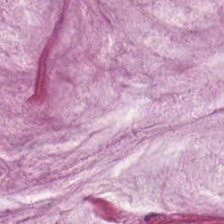Stain: H&E stain.
Acquisition: WSI patch.
Resolution: 0.5 microns per pixel.
Classification: extracellular mucin.
